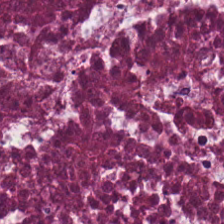H&E-stained tissue section — The predominant tissue is cellular debris.
